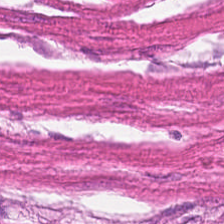Stain: hematoxylin-and-eosin stained section.
Tile size: 224×224 px tile.
Tissue: smooth muscle.
